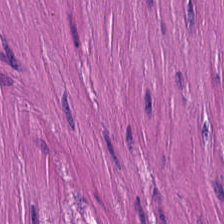Hematoxylin-and-eosin stained section — The predominant tissue is smooth muscle.
